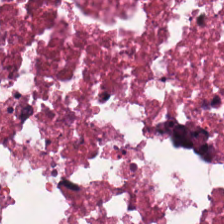0.5 µm per pixel. Hematoxylin-and-eosin stained section. The tissue is cellular debris.
